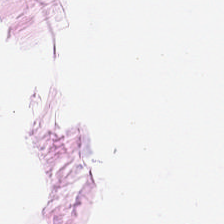Hematoxylin-and-eosin stained section — Fat tissue.
